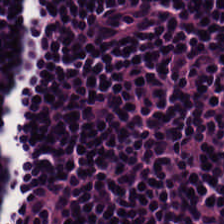H&E · 224×224 px tile · 0.5 µm/px — This patch shows lymphoid infiltrate.
